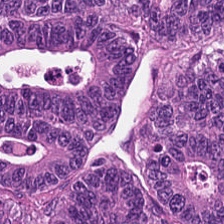Whole-slide-image patch. H&E-stained tissue section. The classification is tumor epithelium.
